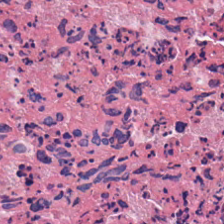H&E.
Q: What is shown in this field?
A: Cellular debris.
